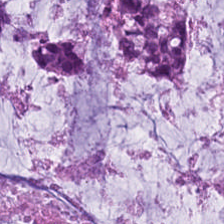H&E stain — Classification: mucin.
